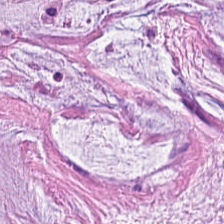H&E. Whole-slide-image patch — Q: What tissue is shown?
A: Mucin.
